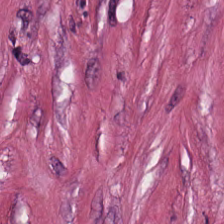Q: What tissue is shown?
A: This is cancer-associated stroma.
